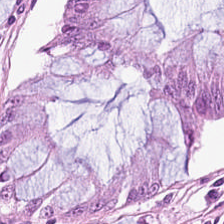H&E stain.
The predominant tissue is normal colonic mucosa.
